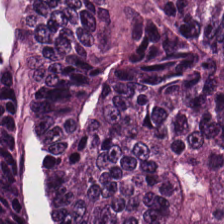Stain: H&E-stained tissue section.
Resolution: 0.5 µm per pixel.
Tissue: tumor epithelium.
